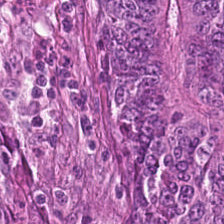H&E-stained tissue section · 224×224 pixel tile.
Q: What is shown here?
A: It is malignant epithelium.
